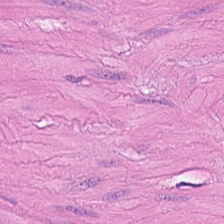H&E. Predominantly muscularis.
